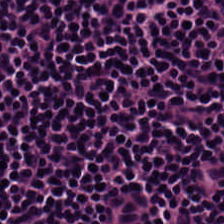Stain: H&E-stained tissue section.
Tissue class: lymphocyte aggregate.
